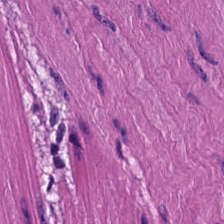This patch shows smooth-muscle tissue.
